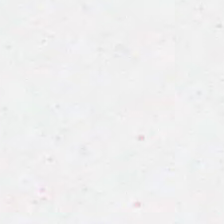224×224 px tile. H&E stain. Finding → no tissue.
